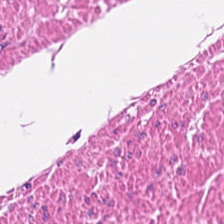H&E stain — Q: What is shown in this field?
A: Smooth muscle.
